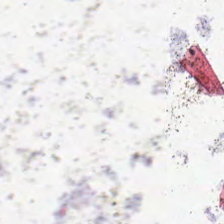20× equivalent magnification. Hematoxylin and eosin. 224×224 pixel tile.
This field is background (no tissue).
